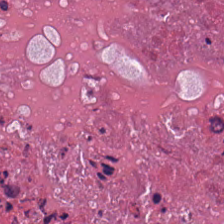Hematoxylin and eosin. 224×224 px tile — Classification = debris.
